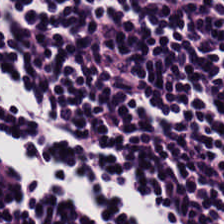H&E-stained section; the field shows lymphocyte aggregate.
